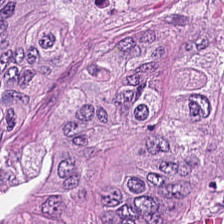Stain: hematoxylin-and-eosin stained section.
Tissue class: colorectal adenocarcinoma epithelium.
